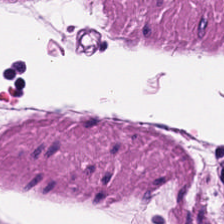20× equivalent magnification · H&E stain · FFPE tissue section — The predominant tissue is smooth muscle.
